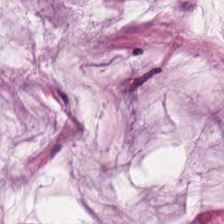H&E.
The tissue here is extracellular mucin.
